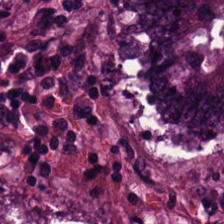Stain: H&E stain.
Classification: malignant epithelium.
